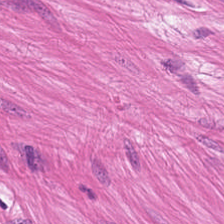Histology — muscularis.
